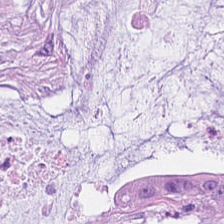H&E-stained tissue section. 224×224 pixel tile. 0.5 microns per pixel — The tissue class is extracellular mucin.
